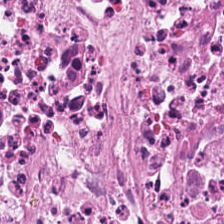Brightfield microscopy · 0.5 µm per pixel · H&E-stained tissue section.
Impression — cellular debris.
